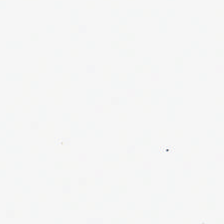H&E-stained tissue section. Background.
